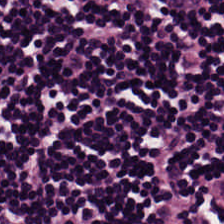Hematoxylin and eosin — Tissue type: lymphocyte aggregate.
